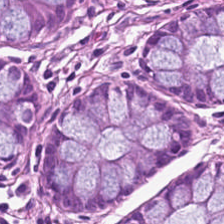H&E-stained tissue section · FFPE — Tissue type = benign colonic mucosa.
